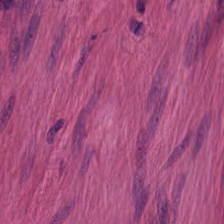The tissue here is smooth muscle.
